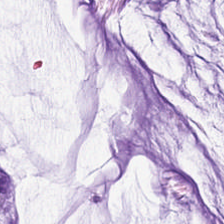Mucus.
